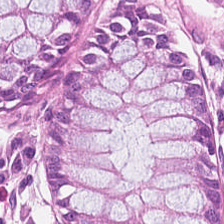Stain: hematoxylin-and-eosin stained section.
Tissue: benign colonic mucosa.
